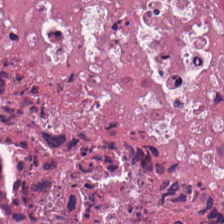H&E — This patch shows cellular debris.
